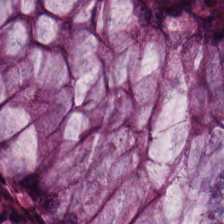Hematoxylin and eosin.
This field is normal colonic mucosa.
